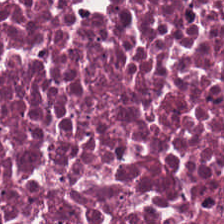224×224 pixel tile; H&E-stained tissue section; WSI patch — Impression → necrotic debris.
